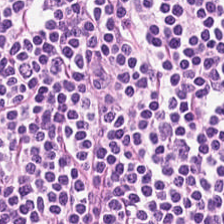H&E.
This patch shows lymphocyte aggregate.
